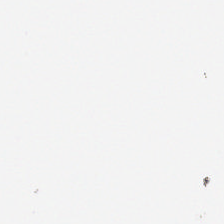Stain: hematoxylin-and-eosin stained section.
Classification: background.
